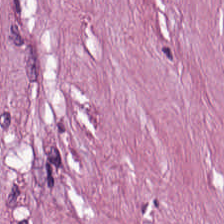Q: What is the predominant tissue type?
A: The field shows tumor-associated stroma.
